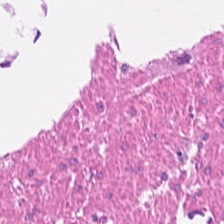H&E-stained tissue section; formalin-fixed paraffin-embedded section; 224×224 pixel tile.
Q: What is shown in this field?
A: Muscularis.
